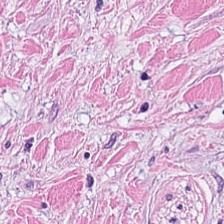H&E stain; brightfield microscopy; 224×224 pixel tile.
Tissue type — cancer-associated stroma.
